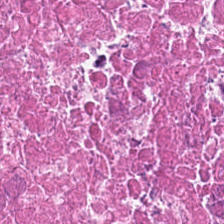Stain: H&E-stained tissue section.
Classification: debris.
